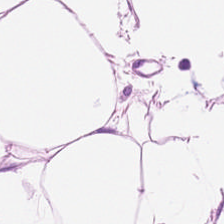Formalin-fixed paraffin-embedded section; hematoxylin-and-eosin stained section.
The classification is adipose.
